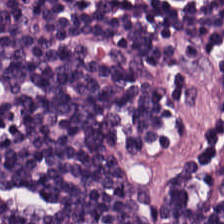H&E — lymphocytes.
